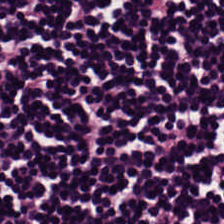Stain: H&E-stained tissue section.
Tissue type: lymphocytes.
